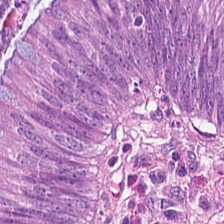Q: What type of tissue is this?
A: It is adenocarcinoma.
